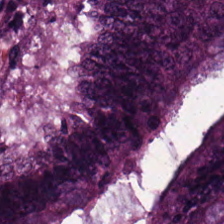Whole-slide-image patch · H&E. This field is malignant epithelium.
